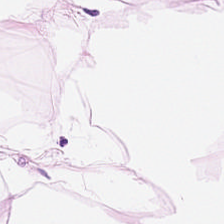Adipose tissue.
